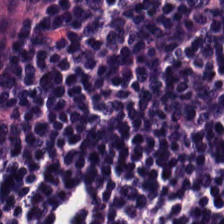Hematoxylin and eosin.
The predominant tissue is lymphocytic infiltrate.
